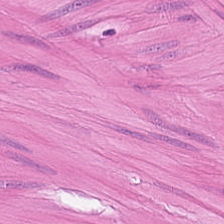Hematoxylin-and-eosin stained section — This patch shows smooth-muscle tissue.
